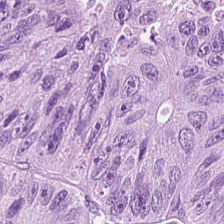Hematoxylin-and-eosin stained section. 0.5 µm/px. Q: Identify the tissue.
A: It is colorectal adenocarcinoma epithelium.
